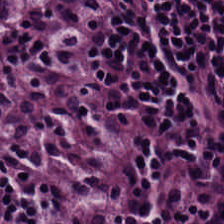Hematoxylin and eosin. Predominant tissue: lymphocyte aggregate.
